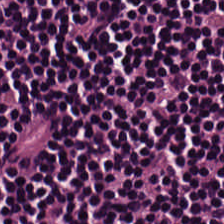Stain: H&E.
Tile size: 224×224 px patch.
Resolution: 20× equivalent magnification.
Classification: lymphoid infiltrate.
